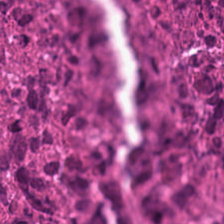FFPE · H&E stain. Q: What is shown here?
A: It is debris.
